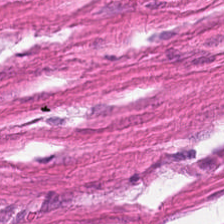Stain: H&E-stained tissue section.
Resolution: 0.5 µm/px.
Classification: smooth-muscle tissue.
